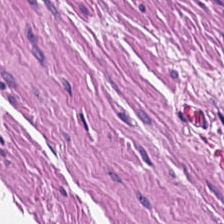FFPE tissue section; hematoxylin-and-eosin stained section. This patch shows smooth muscle.
